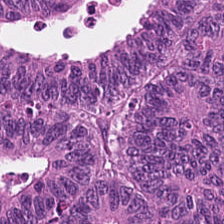Q: Classify this patch.
A: Adenocarcinoma.
